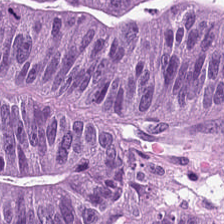Hematoxylin-and-eosin stained section. 224×224 px patch.
The tissue here is adenocarcinoma.
